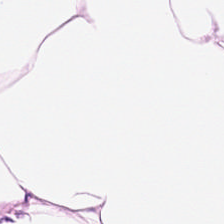H&E stain. The tissue is fat tissue.
